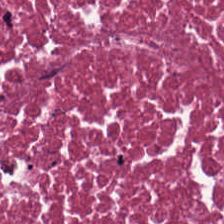H&E-stained tissue section · 0.5 µm/px — This patch shows necrotic debris.
